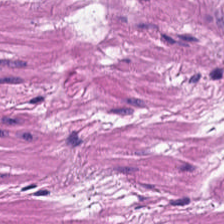H&E stain. Predominant tissue: smooth muscle.
